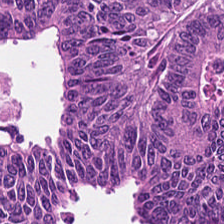Hematoxylin-and-eosin stained section. The tissue here is colorectal adenocarcinoma.
